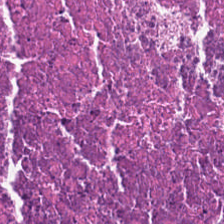H&E. Tissue: cellular debris.
